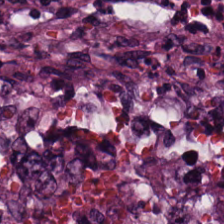H&E; whole-slide-image patch — Showing colorectal adenocarcinoma.
